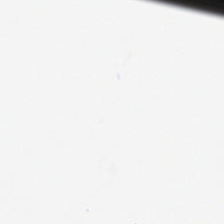Hematoxylin and eosin — Q: What does this patch show?
A: The field shows no tissue.
